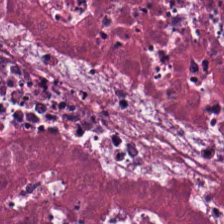H&E. The predominant tissue is debris.
